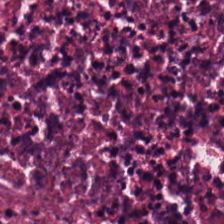224×224 px patch. H&E stain. Brightfield microscopy.
This field is cellular debris.
